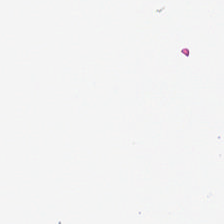Content = empty background.
